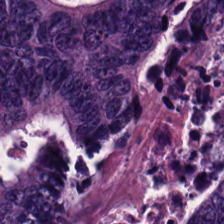Hematoxylin-and-eosin stained section — Impression — adenocarcinoma.
